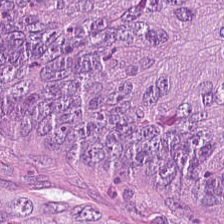Hematoxylin and eosin.
Tumor epithelium.
